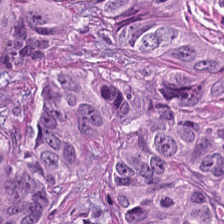H&E stain. The tissue here is malignant epithelium.
